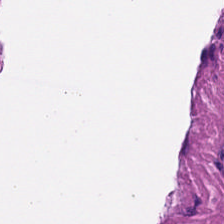Histology — smooth-muscle tissue.
